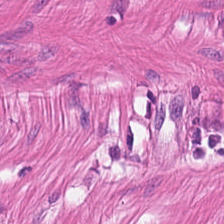Stain: H&E-stained tissue section.
Acquisition: whole-slide-image patch.
Resolution: 0.5 microns per pixel.
Tissue type: muscularis.
